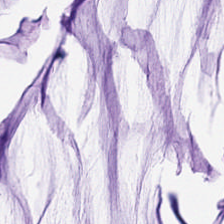Hematoxylin-and-eosin stained section; formalin-fixed paraffin-embedded section. This field is mucus.
